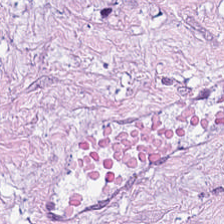Hematoxylin-and-eosin stained section. This patch shows desmoplastic stroma.
